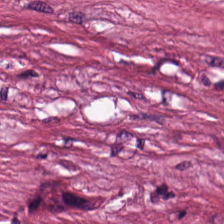H&E-stained tissue section.
Tissue type: cellular debris.
